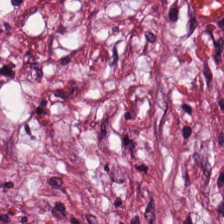Hematoxylin-and-eosin stained section — Showing desmoplastic stroma.
